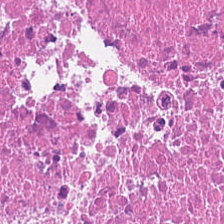H&E stain.
Q: What is the predominant tissue type?
A: The field shows debris.
